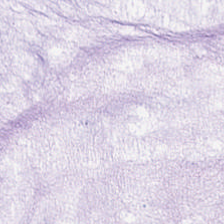Brightfield · H&E stain · FFPE tissue section — The tissue is extracellular mucin.
